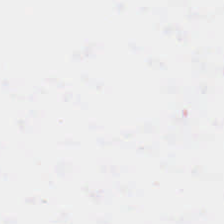Formalin-fixed paraffin-embedded section · hematoxylin-and-eosin stained section.
Classification — no tissue.
